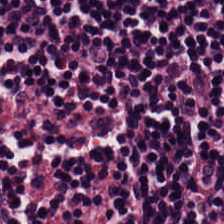Hematoxylin and eosin — Tissue type: lymphocytes.
